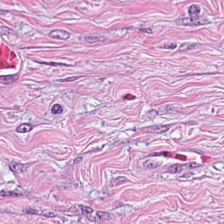Q: What is shown here?
A: Tumor stroma.
